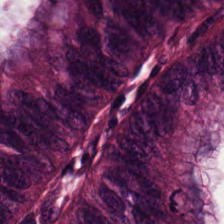Stain: H&E-stained tissue section.
Preparation: FFPE.
Tissue: malignant epithelium.
